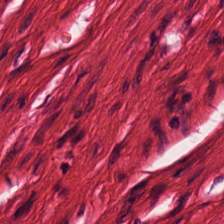224×224 px tile; H&E — Finding → muscularis.
